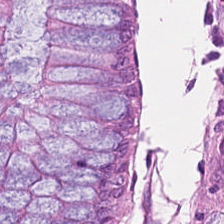0.5 µm per pixel · 224×224 px tile · H&E-stained tissue section — This patch shows normal colon mucosa.
